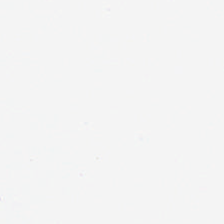H&E. Impression → empty background.
